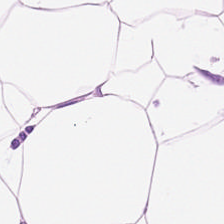Stain: hematoxylin-and-eosin stained section.
Predominant tissue: adipose.
